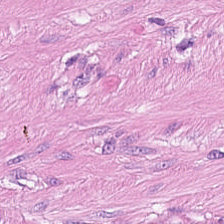Q: What does this patch show?
A: This is smooth muscle.
